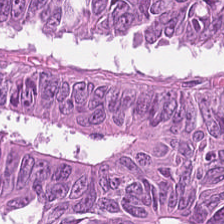H&E stain · FFPE tissue section.
The tissue here is colorectal adenocarcinoma.
